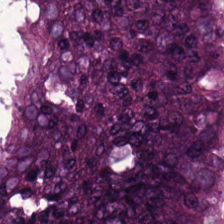H&E-stained tissue section — Impression → tumor epithelium.
